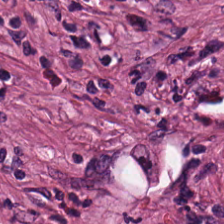Hematoxylin-and-eosin stained section.
Predominantly cancer-associated stroma.
